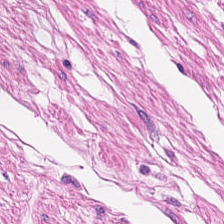0.5 µm per pixel · H&E-stained tissue section · 224×224 px tile.
Histology — smooth muscle.
